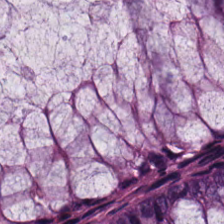H&E-stained tissue section. 224×224 px patch.
This patch shows benign colonic mucosa.
